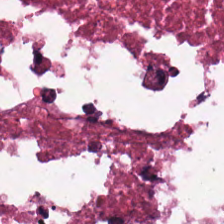224×224 px tile. Hematoxylin and eosin. WSI patch. The predominant tissue is debris.
